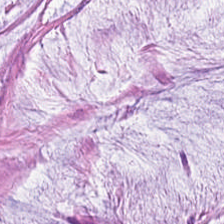Q: Identify the tissue.
A: It is extracellular mucin.
